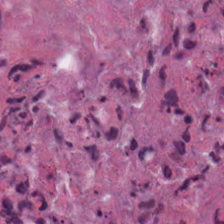FFPE tissue section · H&E-stained tissue section.
Q: What tissue is shown?
A: This is cellular debris.
